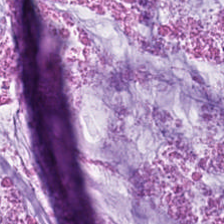224×224 px patch; FFPE tissue section; H&E — Q: Classify this patch.
A: This is mucin.
